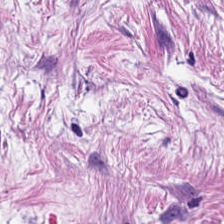H&E. Finding → desmoplastic stroma.
